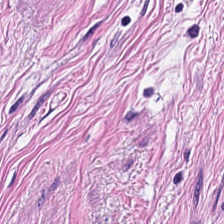Tissue class — smooth-muscle tissue.
